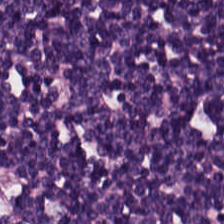H&E-stained section; the field shows lymphocyte aggregate.
